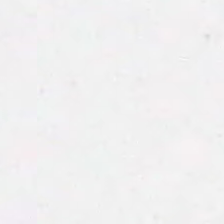WSI patch. H&E stain.
Empty field — background.
